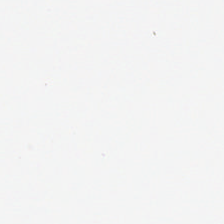H&E-stained tissue section — Content: background.
